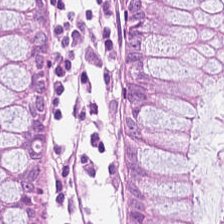224×224 px tile · H&E-stained tissue section · brightfield — Classification = benign colonic mucosa.
